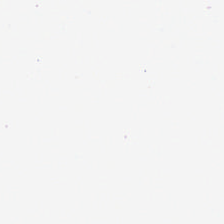Field content = no tissue.
